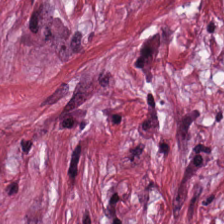Hematoxylin and eosin.
This field is tumor stroma.
